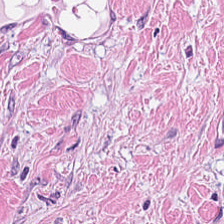Hematoxylin-and-eosin stained section.
This field is tumor-associated stroma.
